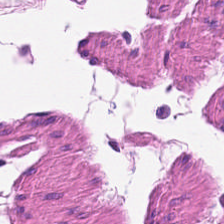This patch shows smooth-muscle tissue.
